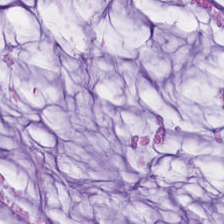Hematoxylin and eosin.
Mucin.
